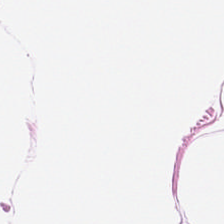Stain: hematoxylin and eosin.
Predominant tissue: adipose tissue.
